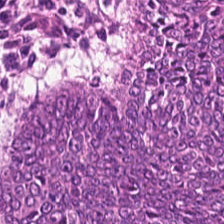The tissue is malignant epithelium.
